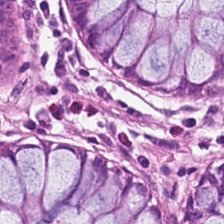0.5 µm/px. H&E stain.
The tissue here is non-neoplastic colon mucosa.
